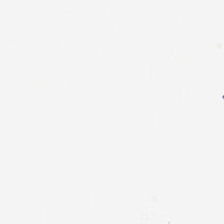Hematoxylin and eosin — Finding — empty background.
